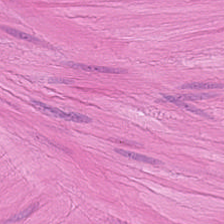This patch shows smooth-muscle tissue.
